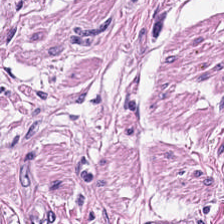Hematoxylin-and-eosin stained section.
Q: What tissue is shown?
A: The field shows smooth-muscle tissue.
